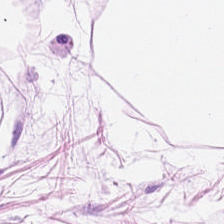Hematoxylin-and-eosin stained section.
Predominantly adipose.
